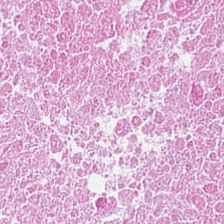Hematoxylin and eosin. 224×224 px patch — Classification = cellular debris.
